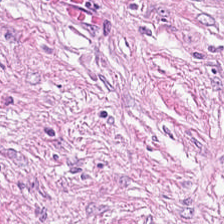Hematoxylin-and-eosin stained section — Q: Identify the tissue.
A: It is tumor-associated stroma.
